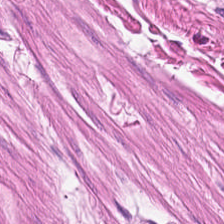Tissue type = muscularis.
